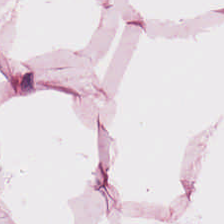H&E.
Q: What does this patch show?
A: The field shows adipose.
